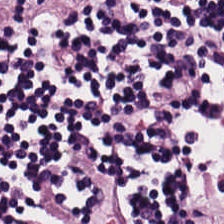H&E-stained tissue section showing lymphocytes.
